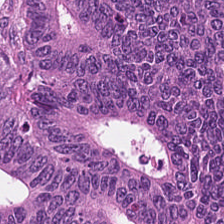Hematoxylin and eosin. Q: What tissue type is shown here?
A: It is tumor epithelium.
